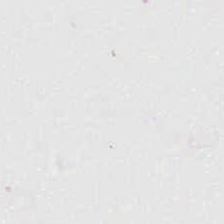Content = no tissue.
